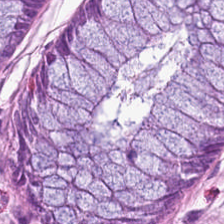Hematoxylin-and-eosin stained section. Tissue — non-neoplastic colon mucosa.
